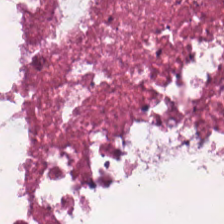H&E. Predominantly cellular debris.
